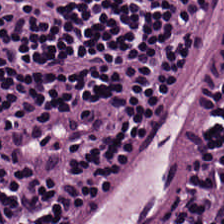Stain: hematoxylin and eosin.
Predominant tissue: lymphoid infiltrate.
